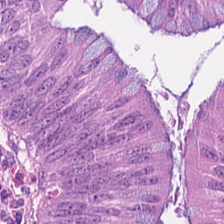H&E-stained tissue section. Showing malignant epithelium.
